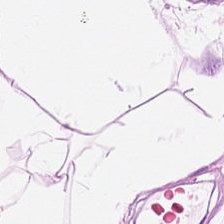Q: What type of tissue is this?
A: This is adipose tissue.
